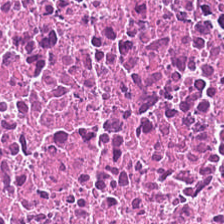Hematoxylin and eosin — Finding — debris.
